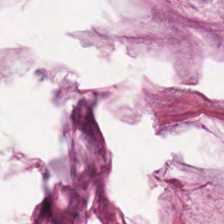Q: What tissue is shown?
A: The field shows extracellular mucin.
